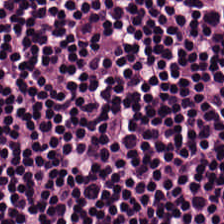Q: What is shown here?
A: The field shows lymphocytic infiltrate.
